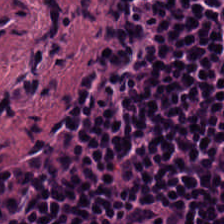H&E-stained tissue section. Classification: lymphocyte aggregate.
